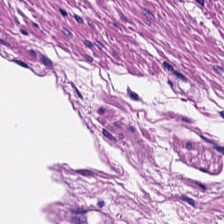H&E — Showing smooth-muscle tissue.
